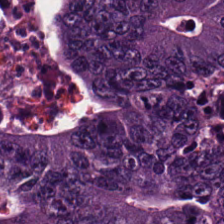H&E-stained tissue section.
Colorectal adenocarcinoma epithelium.
